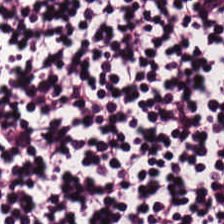Q: What tissue type is shown here?
A: It is lymphoid infiltrate.
